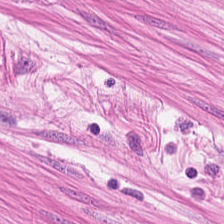Q: What type of tissue is this?
A: This is smooth-muscle tissue.
